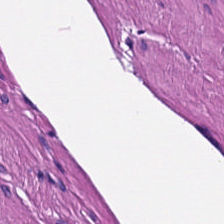Hematoxylin and eosin. Predominantly smooth-muscle tissue.
